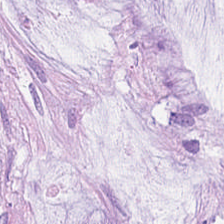0.5 µm/px. H&E stain — Tissue class: extracellular mucin.
